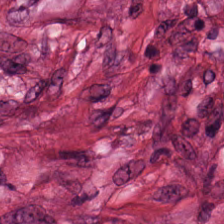H&E patch showing tumor stroma.
